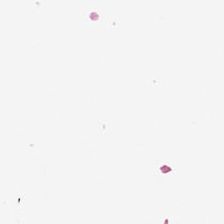Hematoxylin-and-eosin stained section.
Q: What is shown here?
A: Empty background.
